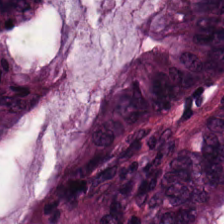Hematoxylin-and-eosin stained section. Predominantly colorectal adenocarcinoma epithelium.
